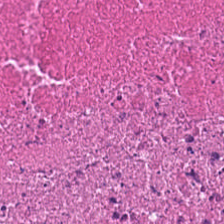Hematoxylin and eosin · 20× equivalent magnification · FFPE. This patch shows necrotic debris.
